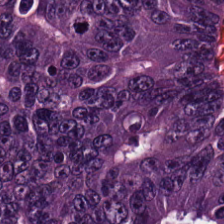Brightfield microscopy. H&E-stained tissue section. Formalin-fixed paraffin-embedded section.
The tissue here is colorectal adenocarcinoma epithelium.
